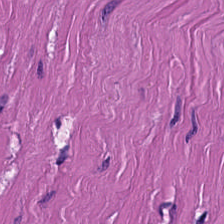Stain: hematoxylin and eosin.
Predominant tissue: smooth-muscle tissue.
